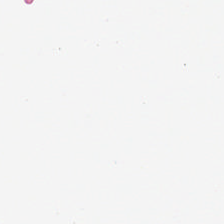FFPE · H&E-stained tissue section — Background — no tissue in this field.
